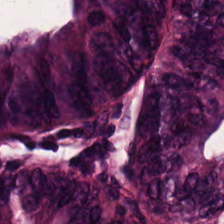H&E-stained tissue section.
Histology → adenocarcinoma.
